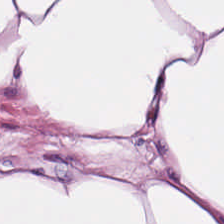Hematoxylin-and-eosin stained section; whole-slide-image patch — Tissue — fat tissue.
